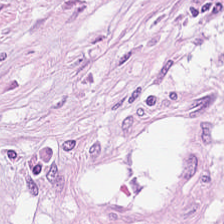Hematoxylin-and-eosin stained section; FFPE tissue section — Predominant tissue — tumor stroma.
